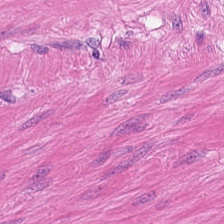Smooth-muscle tissue.
